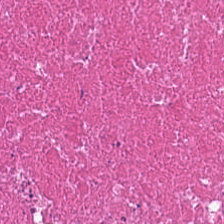H&E stain · 224×224 px tile.
Predominant tissue = cellular debris.
